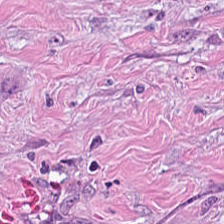H&E stain — Classification — desmoplastic stroma.
